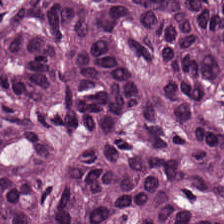Stain: hematoxylin and eosin.
Tile size: 224×224 px tile.
Tissue: malignant epithelium.
